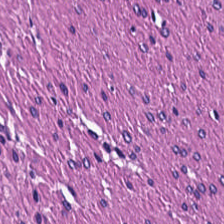Q: What is the predominant tissue type?
A: It is smooth muscle.
